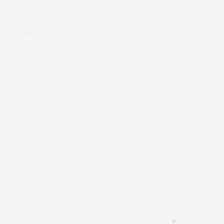224×224 px tile. H&E — Q: What is shown here?
A: Background.
